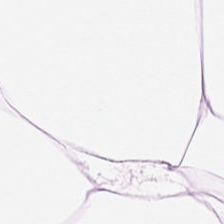H&E-stained tissue section — Tissue: fat tissue.
